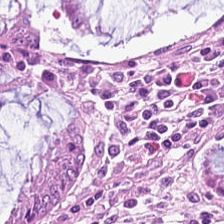Stain: H&E.
Tile size: 224×224 pixel tile.
Preparation: FFPE.
Tissue: normal colonic mucosa.
